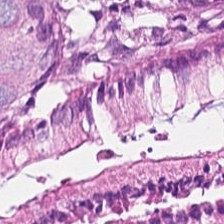H&E. Tissue — normal colonic mucosa.
